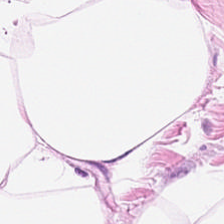H&E-stained tissue section. Tissue type — adipocytes.
